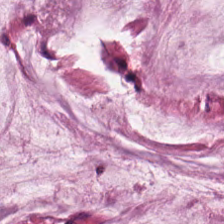0.5 µm per pixel · hematoxylin-and-eosin stained section · FFPE tissue section. The tissue type is mucus.
